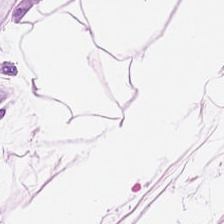Showing adipose tissue.
